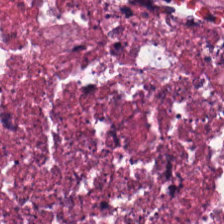Predominantly cellular debris.
